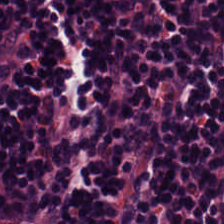Q: What does this patch show?
A: The field shows lymphocytes.
